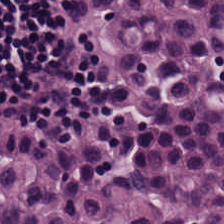Tissue class = lymphocytic infiltrate.
